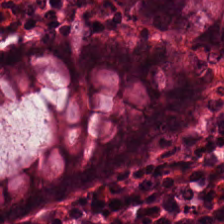H&E. 224×224 pixel tile. Finding — normal colon mucosa.
